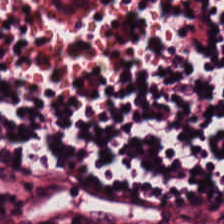Hematoxylin and eosin · brightfield microscopy — Histology — lymphocytic infiltrate.
